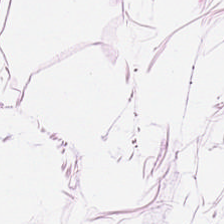H&E stain; 224×224 pixel tile. Adipose tissue.
